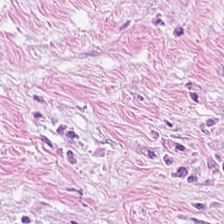224×224 px tile. H&E-stained tissue section — Tumor stroma.
